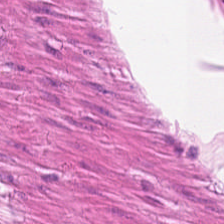H&E · 20× equivalent magnification.
Q: What type of tissue is this?
A: Smooth-muscle tissue.
